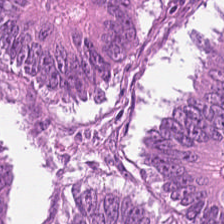H&E stain. Q: What does this patch show?
A: This is tumor epithelium.
